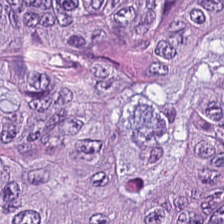H&E-stained tissue section showing tumor epithelium.
